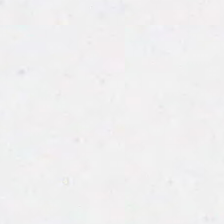H&E-stained tissue section · WSI patch — This field is background (no tissue).
